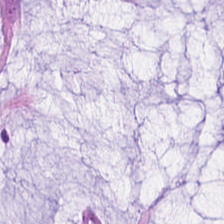Formalin-fixed paraffin-embedded section. H&E-stained tissue section. Brightfield microscopy. Histology → mucus.
